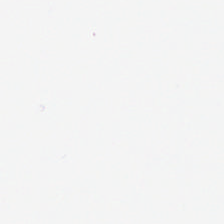H&E stain. Background — no tissue in this field.
